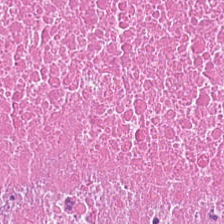Hematoxylin-and-eosin stained section. Q: What is the predominant tissue type?
A: Cellular debris.
